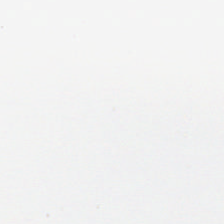Field content: background (no tissue).
